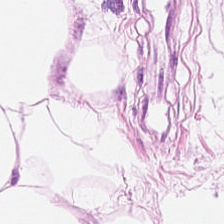H&E. Impression → adipose.
